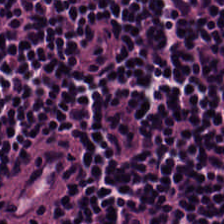Stain: H&E-stained tissue section.
Tissue type: lymphocyte aggregate.
